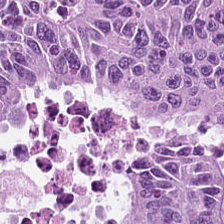H&E. Adenocarcinoma.
